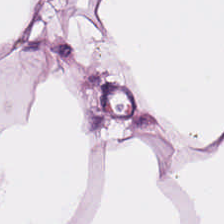Brightfield microscopy · hematoxylin and eosin — The predominant tissue is adipose.
